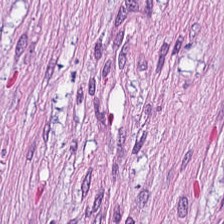Stain: H&E.
Tissue class: desmoplastic stroma.
